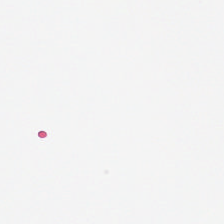Brightfield. H&E stain — Histology → empty background.
